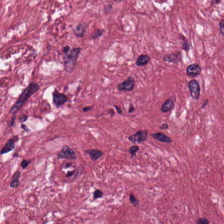The tissue type is desmoplastic stroma.
